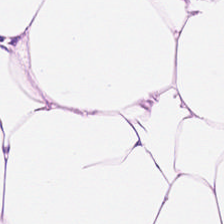Hematoxylin and eosin.
{"tissue_type": "adipose tissue"}
